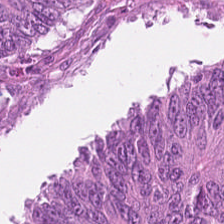0.5 µm/px; hematoxylin and eosin; 224×224 px patch — Tissue = malignant epithelium.
